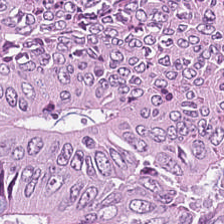Whole-slide-image patch · hematoxylin-and-eosin stained section — The predominant tissue is colorectal adenocarcinoma epithelium.
